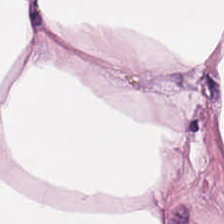224×224 px tile; FFPE tissue section; hematoxylin and eosin.
Q: Classify this patch.
A: Adipocytes.
